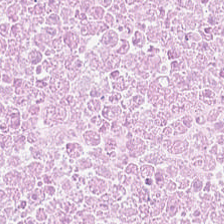H&E stain. Tissue: cellular debris.
